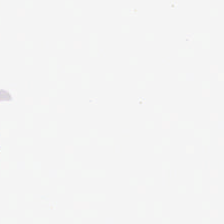0.5 µm/px · hematoxylin-and-eosin stained section — Field content: no tissue.
